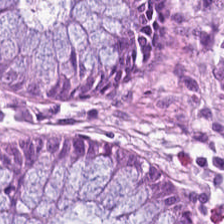H&E — {"tissue_type": "normal colonic mucosa"}
